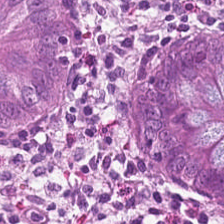H&E; 224×224 px tile.
Impression — normal colon mucosa.
